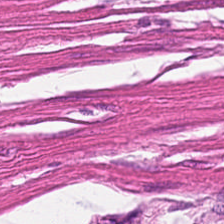H&E-stained tissue section · 224×224 px tile. This field is smooth-muscle tissue.
